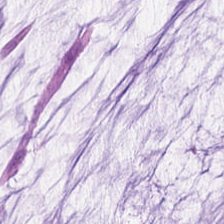H&E-stained tissue section — The tissue here is extracellular mucin.
